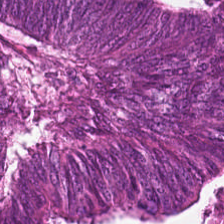H&E; FFPE. Histology → colorectal adenocarcinoma epithelium.
